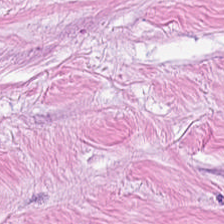H&E patch showing tumor-associated stroma.
